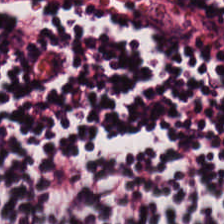Stain: H&E stain.
Predominant tissue: lymphocyte aggregate.
